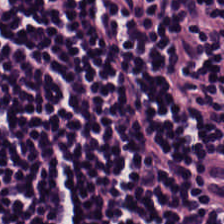Classification: lymphocytes.
